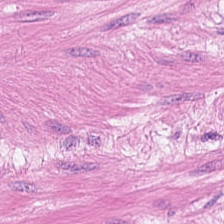H&E-stained tissue section · brightfield · 0.5 microns per pixel — The tissue here is muscularis.
